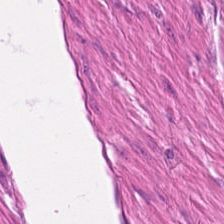Hematoxylin-and-eosin stained section. Formalin-fixed paraffin-embedded section — {"tissue_type": "smooth muscle"}
